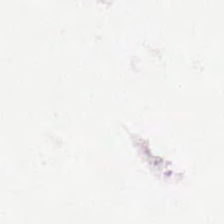Hematoxylin and eosin — Classification = background (no tissue).
